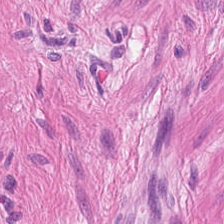H&E · WSI patch. {"tissue_type": "muscularis"}
